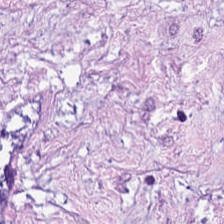Stain: hematoxylin and eosin.
Tissue type: cancer-associated stroma.
